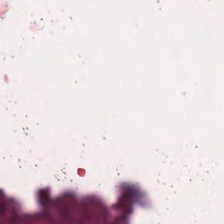Hematoxylin and eosin. Tissue — cellular debris.
